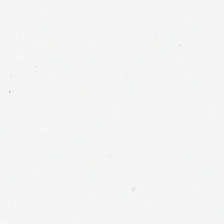Hematoxylin-and-eosin stained section; 224×224 px patch — No tissue present; background only.
